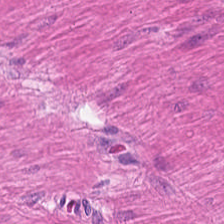224×224 px tile; H&E-stained tissue section — Q: What tissue type is shown here?
A: It is smooth muscle.
